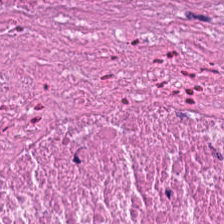Hematoxylin and eosin · brightfield · formalin-fixed paraffin-embedded section. Q: What does this patch show?
A: The field shows cellular debris.
